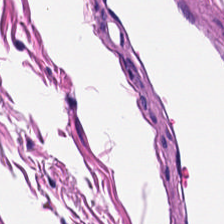0.5 microns per pixel. Hematoxylin-and-eosin stained section.
Q: What tissue is shown?
A: It is smooth-muscle tissue.
